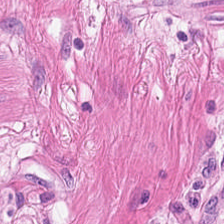H&E stain — This patch shows muscularis.
